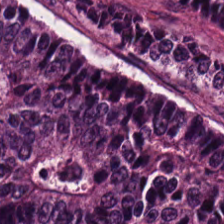Hematoxylin and eosin — The predominant tissue is adenocarcinoma.
